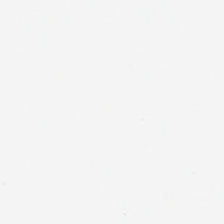Stain: H&E.
Tile size: 224×224 pixel tile.
Preparation: FFPE.
Classification: background.
